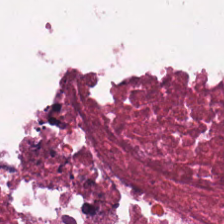Stain: hematoxylin and eosin.
Acquisition: brightfield.
Tissue type: debris.
